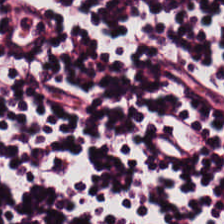Stain: H&E-stained tissue section.
Predominant tissue: lymphocytic infiltrate.
